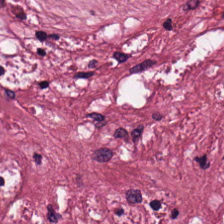Stain: H&E stain.
Resolution: 0.5 microns per pixel.
Predominant tissue: tumor-associated stroma.
